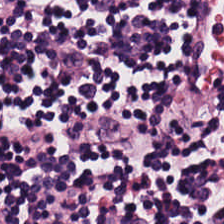H&E stain — Lymphocytic infiltrate.
